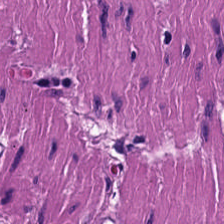FFPE. 224×224 px patch. H&E-stained tissue section. Q: What is shown here?
A: This is muscularis.
